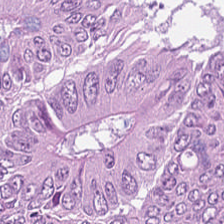H&E. The tissue is colorectal adenocarcinoma.
